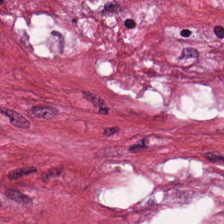224×224 px tile; hematoxylin-and-eosin stained section.
Q: What is shown here?
A: It is tumor stroma.
